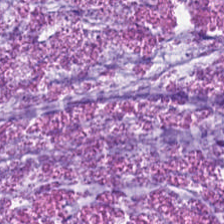Q: What tissue type is shown here?
A: It is mucus.
